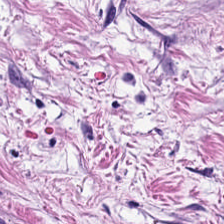0.5 µm per pixel. Hematoxylin-and-eosin stained section — This field is cancer-associated stroma.
